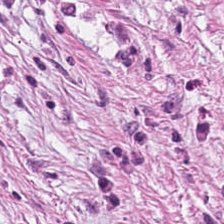Hematoxylin and eosin. Predominant tissue — cancer-associated stroma.
